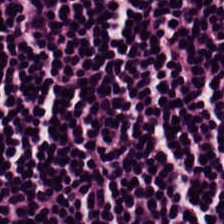H&E-stained tissue section — The classification is lymphoid infiltrate.
